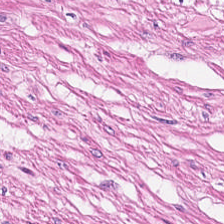Hematoxylin-and-eosin stained section. Formalin-fixed paraffin-embedded section. The tissue here is muscularis.
